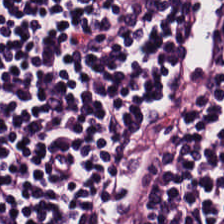H&E stain.
Predominantly lymphoid infiltrate.
